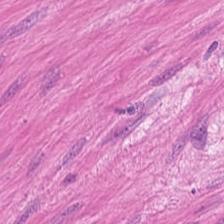Stain: H&E-stained tissue section.
Predominant tissue: smooth-muscle tissue.
